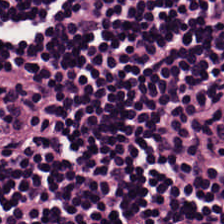H&E stain. Predominantly lymphocytes.
